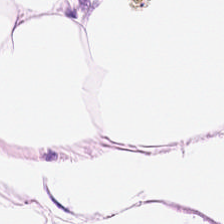H&E-stained tissue section — Predominantly adipose tissue.
